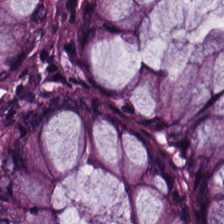Tissue class — normal colon mucosa.
